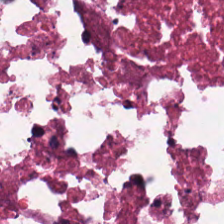Hematoxylin-and-eosin stained section. Predominant tissue = debris.
